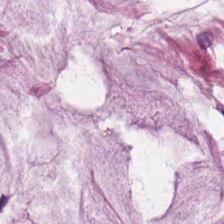Hematoxylin-and-eosin stained section. This patch shows mucin.
